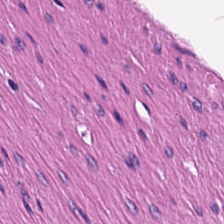H&E. 224×224 px patch. {"tissue_type": "smooth-muscle tissue"}
